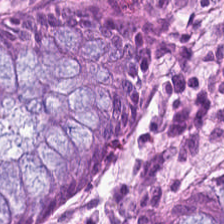Q: What is shown in this field?
A: This is normal colonic mucosa.
